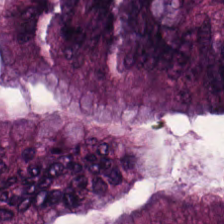H&E — Classification: tumor epithelium.
